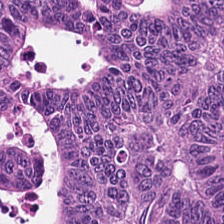20× equivalent magnification · H&E · 224×224 px tile — The tissue here is malignant epithelium.
